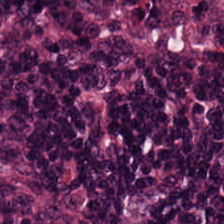Hematoxylin and eosin — This patch shows lymphocytes.
